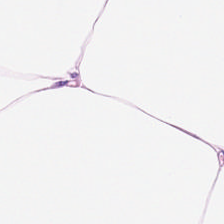H&E-stained tissue section — Showing adipose.
